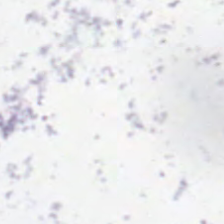Hematoxylin and eosin; WSI patch.
Q: What is shown in this field?
A: The field shows background (no tissue).
